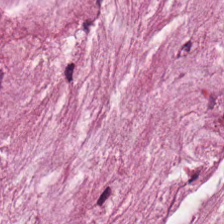H&E stain — Predominantly mucus.
